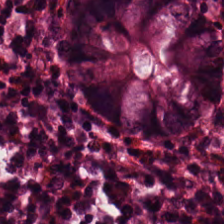FFPE. Hematoxylin-and-eosin stained section. 0.5 µm per pixel.
The tissue here is non-neoplastic colon mucosa.
